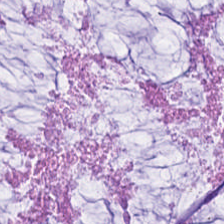Hematoxylin and eosin.
The tissue here is mucin.
